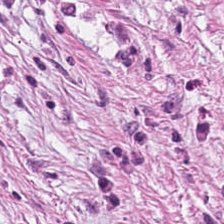H&E-stained tissue section · WSI patch.
{"tissue_type": "desmoplastic stroma"}
